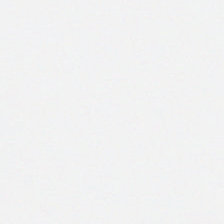H&E stain — This field is background (no tissue).
